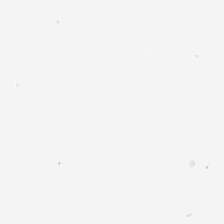{"content": "no tissue"}
